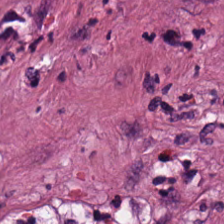H&E · WSI patch — Tissue class — tumor-associated stroma.
